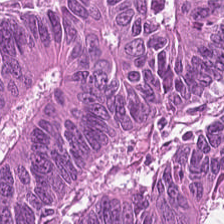H&E stain.
Impression → malignant epithelium.
